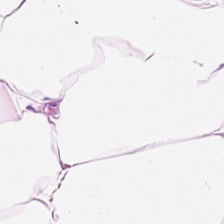H&E-stained tissue section · 224×224 px tile · brightfield. Q: What tissue is shown?
A: This is adipose.
